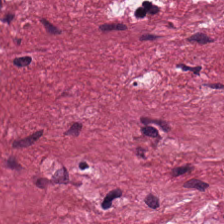Stain: H&E-stained tissue section.
Classification: cancer-associated stroma.
